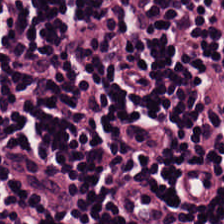Hematoxylin and eosin — Finding → lymphocyte aggregate.
